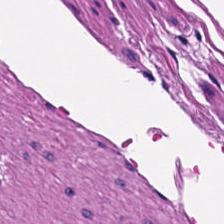Brightfield microscopy. H&E-stained tissue section.
The tissue class is smooth-muscle tissue.
